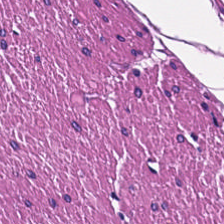Q: What tissue is shown?
A: This is smooth muscle.
